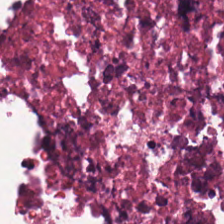Impression — debris.
